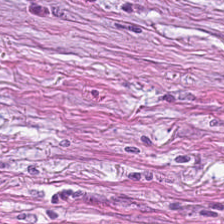224×224 px patch · 0.5 µm/px · H&E — Tumor-associated stroma.
